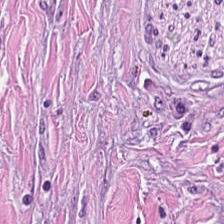H&E-stained tissue section. 224×224 px patch — {"tissue_type": "cancer-associated stroma"}
